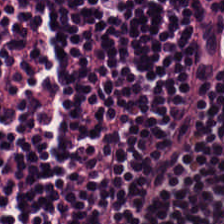Q: Identify the tissue.
A: The field shows lymphoid infiltrate.
